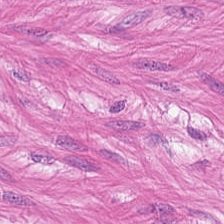This patch shows smooth muscle.
